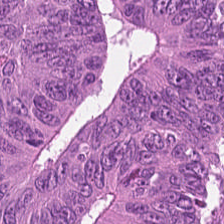Q: What is the predominant tissue type?
A: Malignant epithelium.
